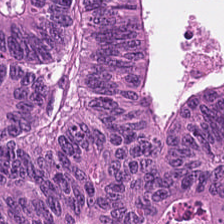Hematoxylin-and-eosin stained section — {"tissue_type": "malignant epithelium"}
